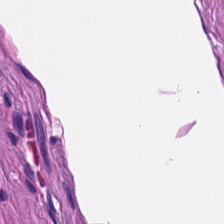224×224 px patch; H&E stain; FFPE tissue section — Tissue type — smooth-muscle tissue.
